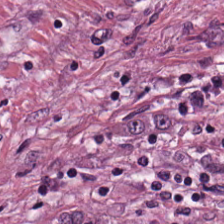0.5 microns per pixel · brightfield microscopy · H&E stain.
Tissue class = tumor-associated stroma.
